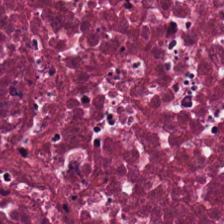Classification = necrotic debris.
